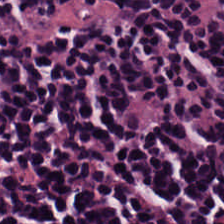H&E-stained tissue section. The tissue here is lymphocytes.
